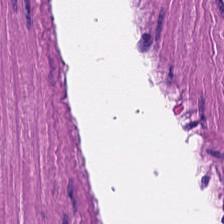Predominant tissue: muscularis.
